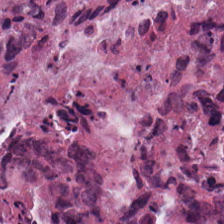H&E-stained tissue section.
Q: What tissue is shown?
A: It is necrotic debris.
